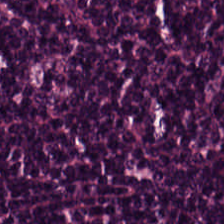Hematoxylin and eosin. Q: What is shown here?
A: Lymphocytic infiltrate.
